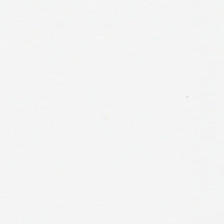H&E stain — Finding — no tissue.
